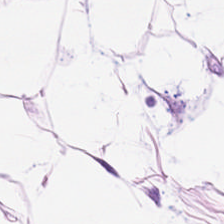Stain: hematoxylin and eosin.
Resolution: 0.5 µm/px.
Tissue: adipose tissue.
